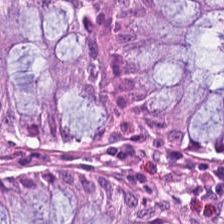Hematoxylin-and-eosin stained section; 224×224 px tile — This patch shows non-neoplastic colon mucosa.
